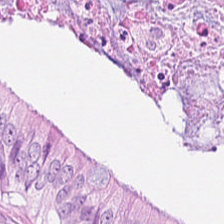Stain: H&E stain.
Tissue class: colorectal adenocarcinoma epithelium.
